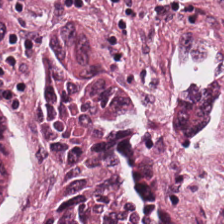Hematoxylin-and-eosin stained section. The tissue type is malignant epithelium.
